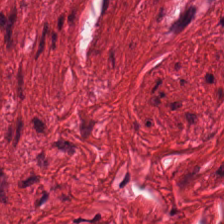224×224 px tile. H&E-stained tissue section.
This field is smooth muscle.
